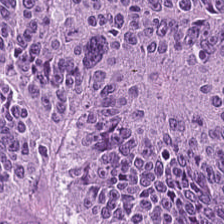H&E. Histology — colorectal adenocarcinoma.
